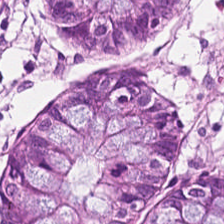H&E stain. FFPE tissue section. Tissue: benign colonic mucosa.
